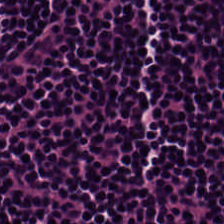FFPE · 224×224 px tile · H&E-stained tissue section. Finding — lymphocytes.
